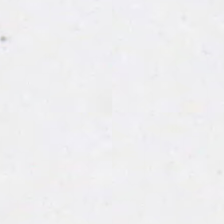Hematoxylin-and-eosin stained section. 224×224 px tile.
Q: What does this patch show?
A: This is background (no tissue).
